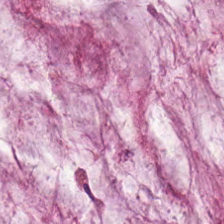Tissue type — mucus.
